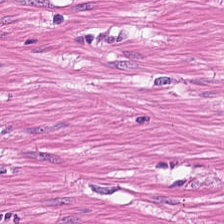Stain: H&E-stained tissue section.
Tissue class: smooth muscle.
